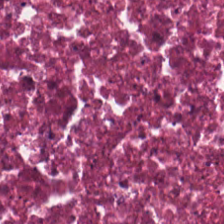Hematoxylin-and-eosin stained section; 20× equivalent magnification; brightfield microscopy.
Predominantly debris.
